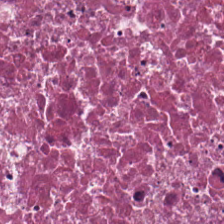Impression → necrotic debris.
